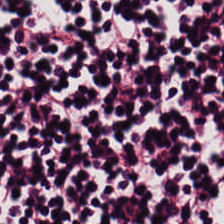Tissue class: lymphocytes.
